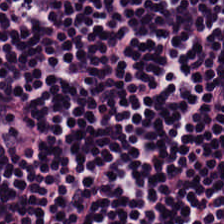Stain: hematoxylin and eosin.
Tissue type: lymphocytes.
